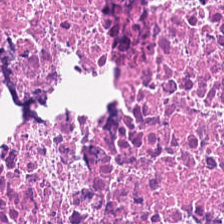Tissue type: cellular debris.
